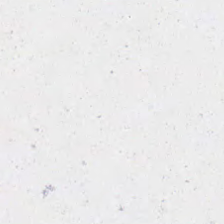Impression — background (no tissue).
